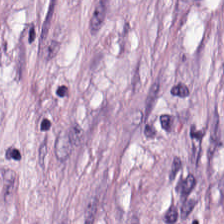Brightfield microscopy · FFPE · H&E stain.
Predominant tissue = tumor-associated stroma.
